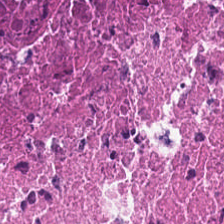H&E stain — Debris.
